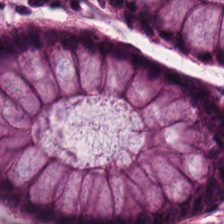0.5 microns per pixel; hematoxylin-and-eosin stained section. Q: What tissue type is shown here?
A: Non-neoplastic colon mucosa.
